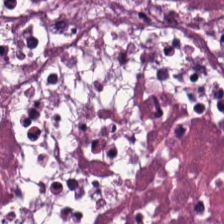0.5 microns per pixel · hematoxylin-and-eosin stained section. Showing debris.
